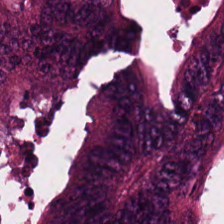224×224 px tile. Brightfield. H&E-stained tissue section.
The predominant tissue is tumor epithelium.
